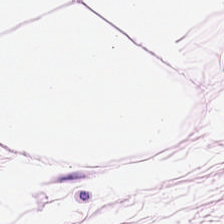20× equivalent magnification; H&E-stained tissue section. The predominant tissue is adipocytes.
